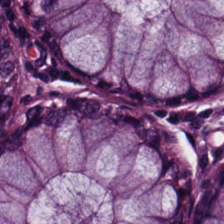Stain: hematoxylin-and-eosin stained section.
Preparation: FFPE.
Tissue type: normal colonic mucosa.
